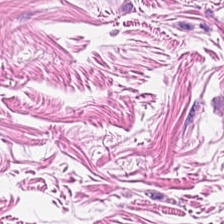Hematoxylin-and-eosin stained section.
This field is smooth-muscle tissue.
